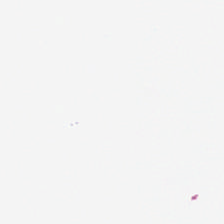H&E stain. Empty field — no tissue.
